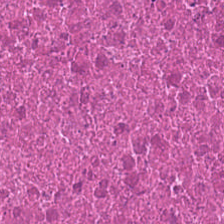Hematoxylin-and-eosin stained section. This patch shows necrotic debris.
